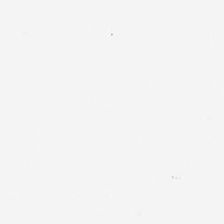H&E-stained tissue section · 0.5 µm per pixel. The field content is no tissue.
